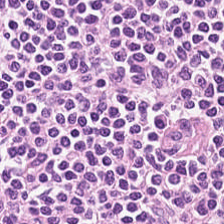0.5 µm/px; formalin-fixed paraffin-embedded section; H&E.
The tissue is lymphocyte aggregate.
